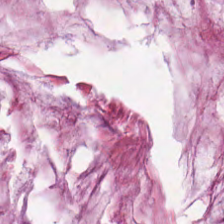H&E; brightfield microscopy — Q: What type of tissue is this?
A: Extracellular mucin.
